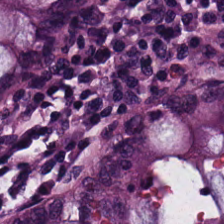Hematoxylin and eosin. Tissue type = non-neoplastic colon mucosa.
